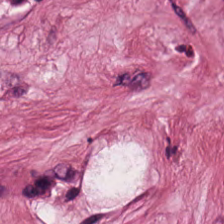H&E stain. Brightfield microscopy. 0.5 microns per pixel.
Classification = desmoplastic stroma.
